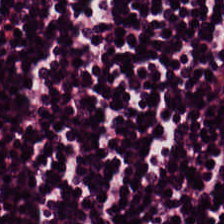FFPE tissue section · H&E-stained tissue section — Histology — lymphocyte aggregate.
